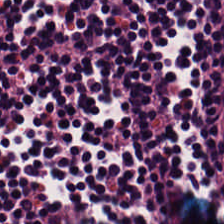Hematoxylin and eosin. The tissue class is lymphocyte aggregate.
